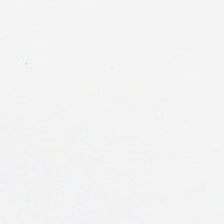H&E stain.
Content = background.
